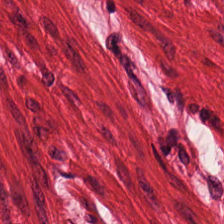224×224 px patch; H&E-stained tissue section; 20× equivalent magnification — Tissue class — smooth-muscle tissue.
